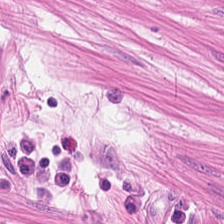FFPE tissue section; H&E stain.
Impression → smooth-muscle tissue.
